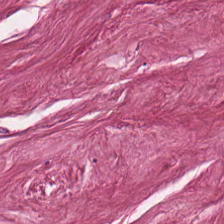0.5 microns per pixel · hematoxylin and eosin — This field is tumor-associated stroma.
